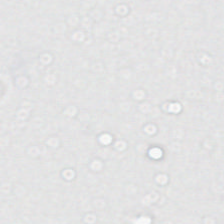224×224 pixel tile · H&E stain — Q: Classify this patch.
A: The field shows background (no tissue).
